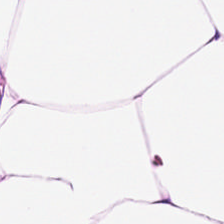H&E stain.
This field is adipose tissue.
